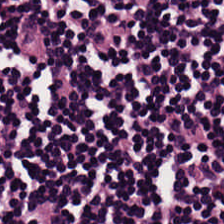The tissue here is lymphocytic infiltrate.
